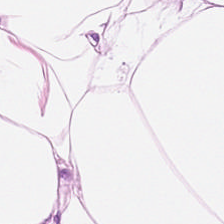H&E stain · 224×224 pixel tile · FFPE — Tissue class = adipose tissue.
